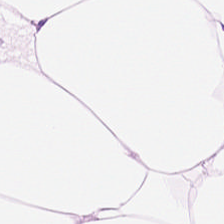Whole-slide-image patch · hematoxylin-and-eosin stained section — Q: What is shown in this field?
A: The field shows adipose tissue.
